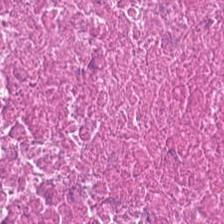This field is necrotic debris.
